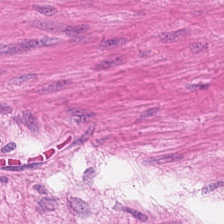Hematoxylin-and-eosin stained section. Formalin-fixed paraffin-embedded section.
Smooth-muscle tissue.
